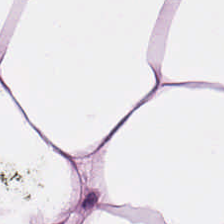Hematoxylin-and-eosin section: adipose tissue.
